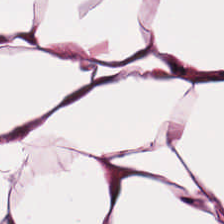Hematoxylin-and-eosin stained section.
Predominant tissue = adipose.
